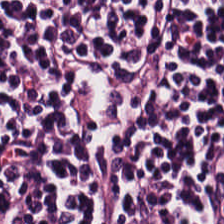H&E stain — The predominant tissue is lymphocyte aggregate.
